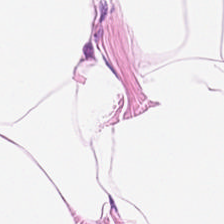224×224 pixel tile. Hematoxylin-and-eosin stained section. Tissue class — adipose.
